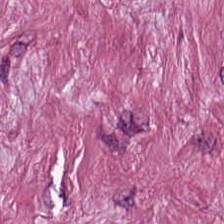Formalin-fixed paraffin-embedded section; 224×224 px patch; hematoxylin-and-eosin stained section.
Predominantly cancer-associated stroma.
